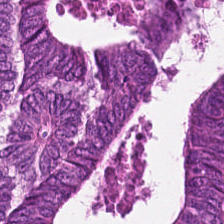H&E stain · whole-slide-image patch.
The tissue class is malignant epithelium.
